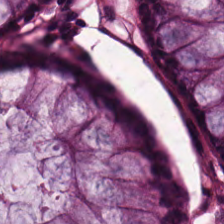FFPE tissue section. H&E. 20× equivalent magnification. Histology → benign colonic mucosa.
